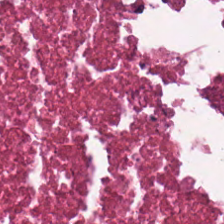The tissue is necrotic debris.
